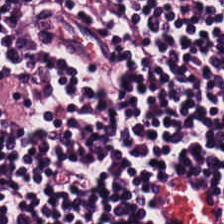H&E stain; 0.5 microns per pixel — The predominant tissue is lymphocytes.
